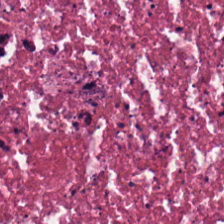H&E-stained tissue section · FFPE tissue section — The predominant tissue is cellular debris.
